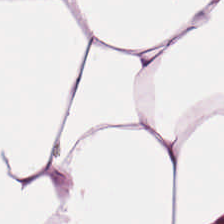224×224 pixel tile · H&E-stained tissue section · 20× equivalent magnification. Q: What is the predominant tissue type?
A: This is adipose.
